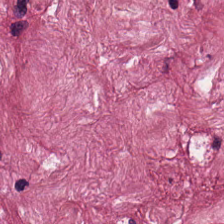224×224 px patch · brightfield · hematoxylin-and-eosin stained section. Desmoplastic stroma.
